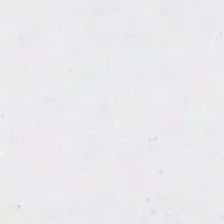0.5 µm/px. Hematoxylin and eosin. FFPE. This field is background (no tissue).
